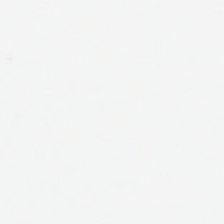Hematoxylin-and-eosin stained section. 224×224 pixel tile. No tissue.
